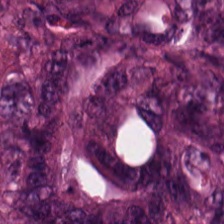H&E.
The predominant tissue is colorectal adenocarcinoma epithelium.
